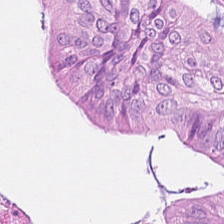H&E stain — Predominant tissue — malignant epithelium.
